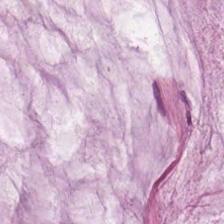H&E-stained section; the field shows mucin.
